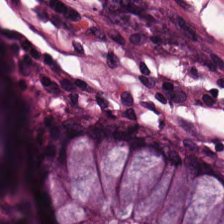Hematoxylin and eosin.
Impression — normal colon mucosa.
